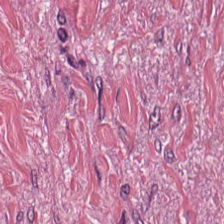Stain: H&E-stained tissue section.
Tissue type: tumor stroma.
